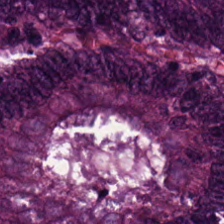224×224 px patch · hematoxylin-and-eosin stained section.
Tissue type = colorectal adenocarcinoma epithelium.
